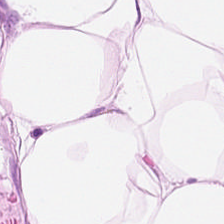Hematoxylin and eosin; FFPE tissue section; 20× equivalent magnification.
Fat tissue.
